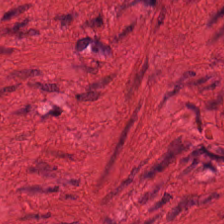224×224 px patch · hematoxylin and eosin.
Q: What is shown here?
A: It is smooth-muscle tissue.
